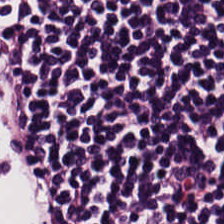H&E stain — The predominant tissue is lymphoid infiltrate.
